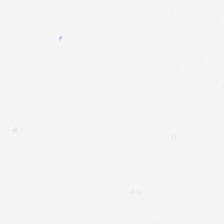Impression — background.
